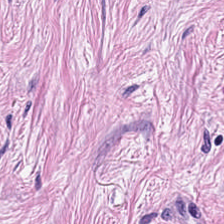H&E stain · brightfield microscopy — Q: What tissue type is shown here?
A: The field shows tumor stroma.
